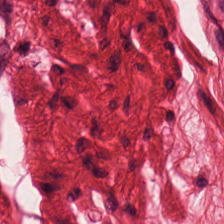H&E-stained tissue section. Tissue type = muscularis.
